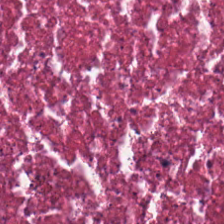H&E stain · whole-slide-image patch — Tissue class: cellular debris.
